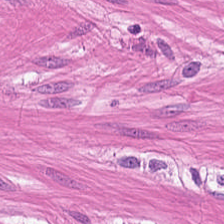H&E-stained tissue section — Q: Identify the tissue.
A: The field shows smooth-muscle tissue.
